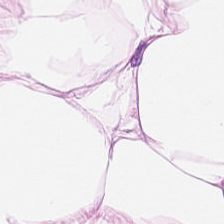Hematoxylin-and-eosin stained section · brightfield microscopy — Showing fat tissue.
